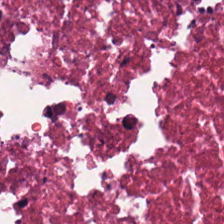H&E patch showing necrotic debris.
